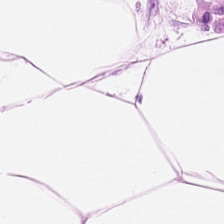WSI patch. Hematoxylin and eosin. 0.5 microns per pixel.
This field is adipose.
